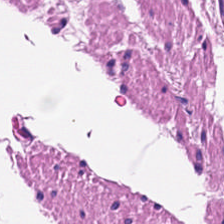This field is smooth-muscle tissue.
